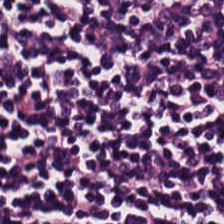0.5 µm per pixel. H&E stain. This field is lymphoid infiltrate.
